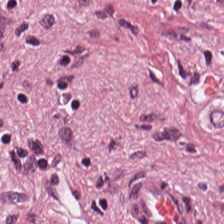Whole-slide-image patch. Hematoxylin and eosin.
{"tissue_type": "cancer-associated stroma"}
